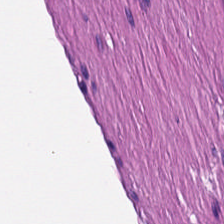H&E stain · FFPE.
Impression → muscularis.
